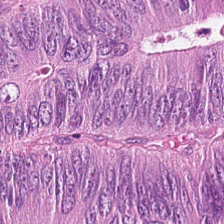Hematoxylin-and-eosin stained section.
{"tissue_type": "colorectal adenocarcinoma"}
